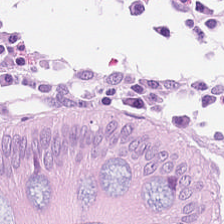Predominantly normal colonic mucosa.
